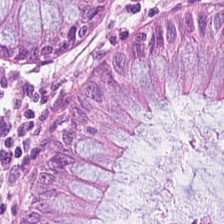H&E stain — The predominant tissue is non-neoplastic colon mucosa.
